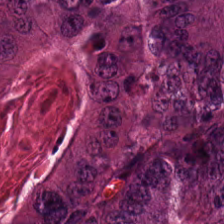0.5 µm per pixel. H&E — Malignant epithelium.
